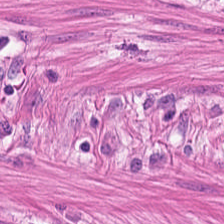Hematoxylin-and-eosin stained section.
Showing smooth muscle.
